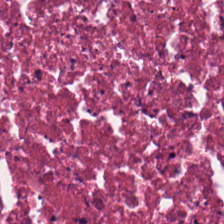Hematoxylin-and-eosin stained section. 224×224 px patch — Tissue: necrotic debris.
